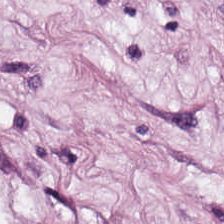H&E stain. FFPE.
The predominant tissue is adipocytes.
